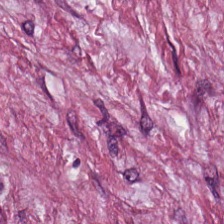Tissue — cancer-associated stroma.
